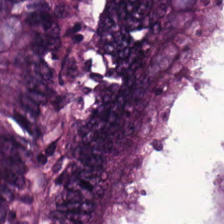H&E stain; FFPE; 224×224 px tile — The tissue type is adenocarcinoma.
